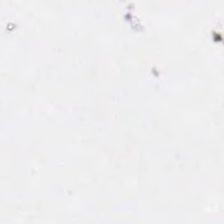Hematoxylin and eosin · 0.5 µm/px.
Field content: no tissue.
